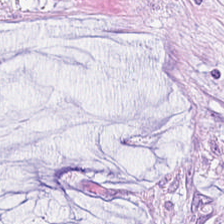H&E-stained tissue section.
Histology → mucus.
